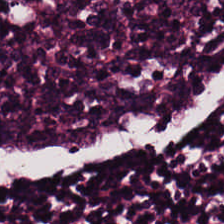H&E-stained tissue section.
Classification = lymphocytic infiltrate.
